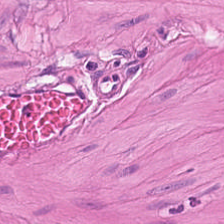H&E-stained tissue section; 0.5 microns per pixel — Classification: muscularis.
